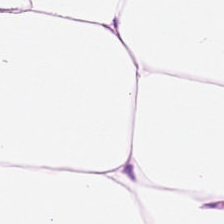H&E-stained tissue section; 224×224 pixel tile; formalin-fixed paraffin-embedded section.
Tissue class: adipocytes.
